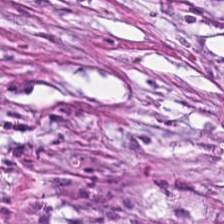Hematoxylin-and-eosin section: tumor stroma.
